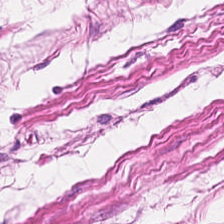H&E-stained tissue section.
This field is smooth muscle.
